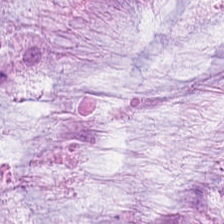Formalin-fixed paraffin-embedded section; 0.5 µm/px; H&E-stained tissue section. Tissue type — extracellular mucin.
